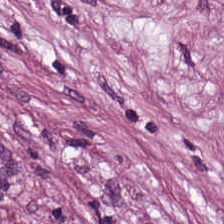Hematoxylin and eosin — The predominant tissue is tumor stroma.
